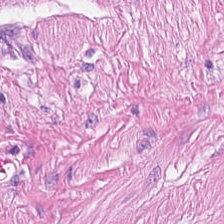H&E-stained tissue section — Histology → muscularis.
